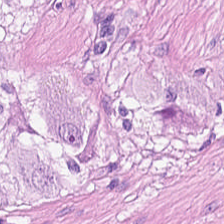Hematoxylin-and-eosin stained section. Q: What tissue is shown?
A: The field shows smooth-muscle tissue.
